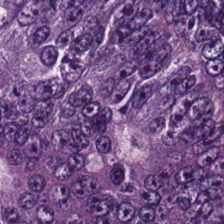Hematoxylin-and-eosin stained section. Predominant tissue = adenocarcinoma.
